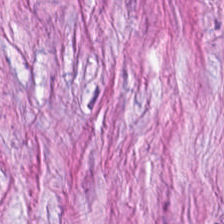Hematoxylin and eosin. Tumor stroma.
